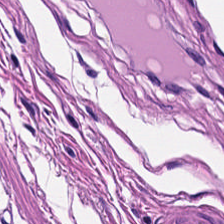224×224 px tile; H&E-stained tissue section.
Smooth-muscle tissue.
